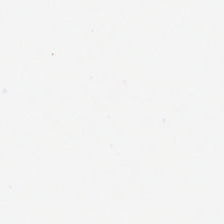Hematoxylin-and-eosin stained section. This patch shows empty background.
